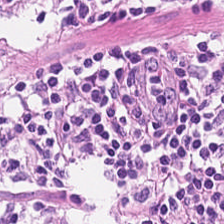Whole-slide-image patch. H&E stain. FFPE.
The predominant tissue is lymphocytic infiltrate.
